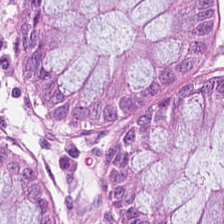FFPE tissue section; WSI patch; hematoxylin and eosin. Predominant tissue — normal colonic mucosa.
